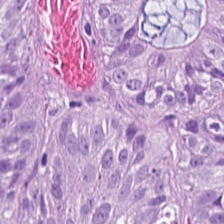224×224 px tile; hematoxylin-and-eosin stained section.
Predominantly colorectal adenocarcinoma epithelium.
